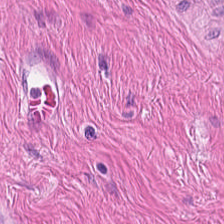The predominant tissue is smooth muscle.
